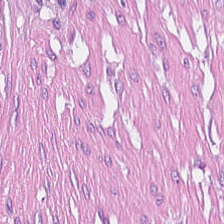H&E.
Tissue class = desmoplastic stroma.
